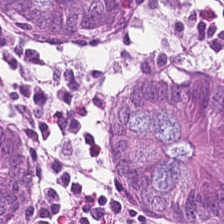Brightfield microscopy. H&E-stained tissue section.
Predominantly benign colonic mucosa.
